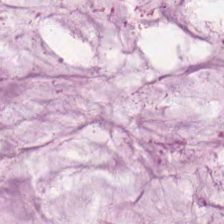Brightfield · hematoxylin-and-eosin stained section — Tissue type: mucin.
